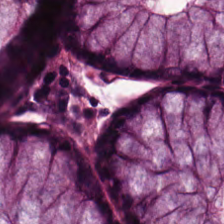H&E — normal colonic mucosa.
